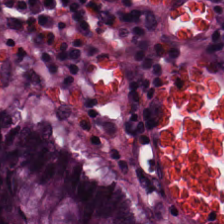Stain: hematoxylin and eosin.
Classification: normal colonic mucosa.
